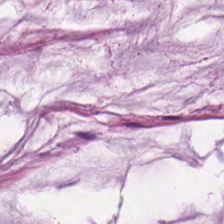H&E-stained tissue section — Histology — mucin.
